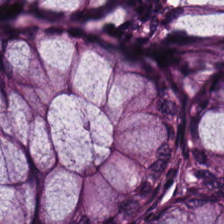Stain: H&E-stained tissue section.
Tissue type: non-neoplastic colon mucosa.
